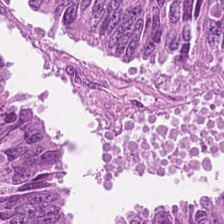Q: Classify this patch.
A: Malignant epithelium.
